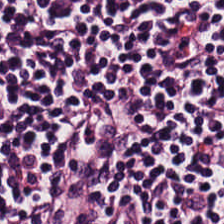H&E stain.
Predominant tissue — lymphocytic infiltrate.
